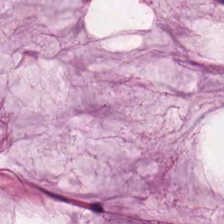0.5 µm per pixel. Brightfield microscopy. Hematoxylin and eosin.
{"tissue_type": "extracellular mucin"}
